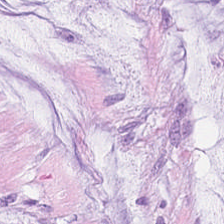Formalin-fixed paraffin-embedded section; hematoxylin and eosin.
The tissue here is extracellular mucin.
